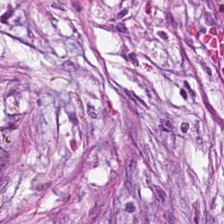H&E; 224×224 px tile.
This field is tumor stroma.
